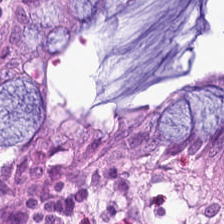H&E stain. Showing benign colonic mucosa.
